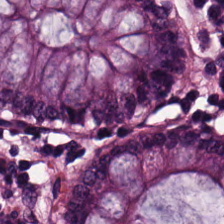Stain: hematoxylin and eosin.
Preparation: formalin-fixed paraffin-embedded section.
Resolution: 0.5 microns per pixel.
Classification: normal colon mucosa.
